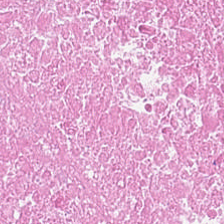0.5 microns per pixel · H&E stain · 224×224 px tile — Tissue type: debris.
